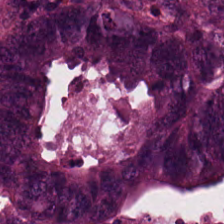H&E stain. The classification is colorectal adenocarcinoma.
